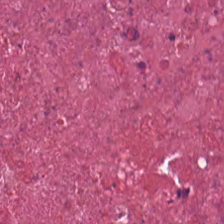This field is cellular debris.
